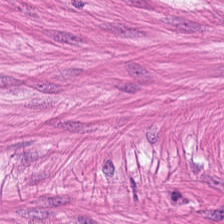H&E. Q: What is shown here?
A: It is muscularis.
